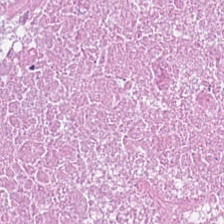0.5 microns per pixel · 224×224 px patch · hematoxylin and eosin.
Tissue class = necrotic debris.
